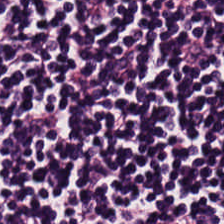Stain: hematoxylin-and-eosin stained section.
Resolution: 0.5 µm/px.
Preparation: formalin-fixed paraffin-embedded section.
Tissue: lymphocytic infiltrate.
